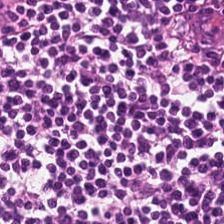H&E. The classification is lymphoid infiltrate.
